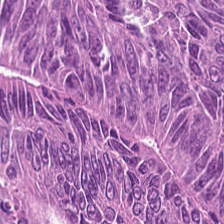Predominant tissue = colorectal adenocarcinoma epithelium.
